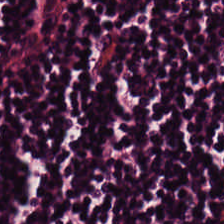Classification: lymphocytes.
